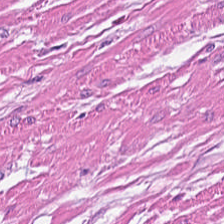Hematoxylin and eosin. 224×224 px tile. Predominant tissue — muscularis.
